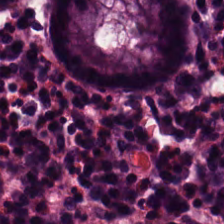Hematoxylin and eosin.
This patch shows normal colon mucosa.
